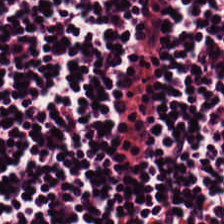Hematoxylin and eosin — Predominant tissue — lymphocytes.
